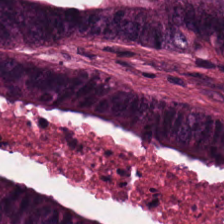Histology → colorectal adenocarcinoma.
